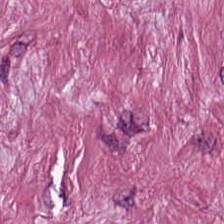Hematoxylin and eosin · brightfield microscopy · FFPE. Finding → desmoplastic stroma.
